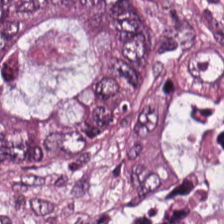H&E stain — Classification = tumor epithelium.
